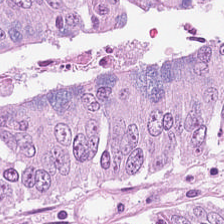Predominant tissue = colorectal adenocarcinoma.
